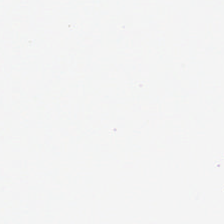Content = empty background.
